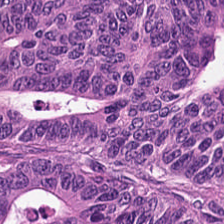Hematoxylin and eosin. Brightfield.
This field is adenocarcinoma.
